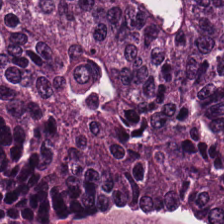H&E.
Q: Classify this patch.
A: Colorectal adenocarcinoma epithelium.
